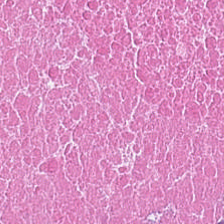Hematoxylin-and-eosin stained section.
Q: Identify the tissue.
A: This is debris.
